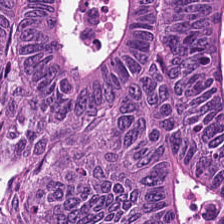Whole-slide-image patch; H&E.
The predominant tissue is colorectal adenocarcinoma epithelium.
